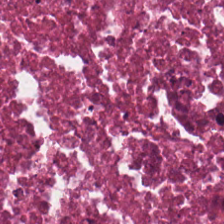Formalin-fixed paraffin-embedded section. H&E.
Tissue class: necrotic debris.
